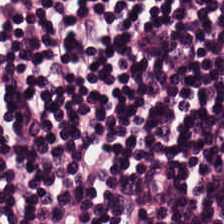Hematoxylin and eosin. 224×224 pixel tile. Predominant tissue — lymphocyte aggregate.
